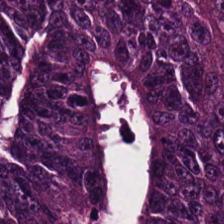0.5 microns per pixel; 224×224 pixel tile; H&E stain — Tissue = colorectal adenocarcinoma epithelium.
